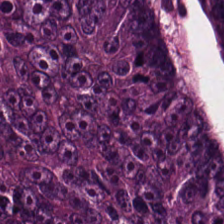Hematoxylin and eosin — Tissue type: tumor epithelium.
